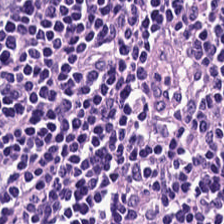Q: What tissue type is shown here?
A: This is lymphocytes.
